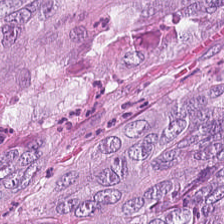Impression — adenocarcinoma.
